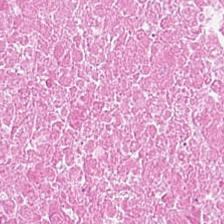H&E — necrotic debris.
